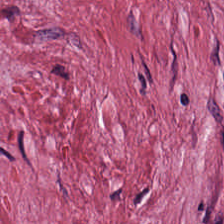Hematoxylin-and-eosin stained section — The tissue here is tumor stroma.
